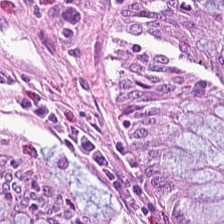Hematoxylin and eosin; 20× equivalent magnification — This field is normal colon mucosa.
